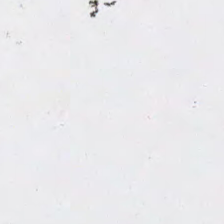H&E stain.
Classification — background (no tissue).
